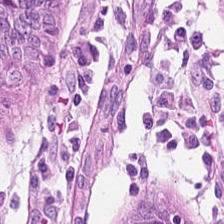FFPE tissue section; H&E-stained tissue section — Tissue class: benign colonic mucosa.
